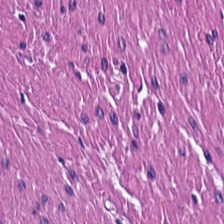H&E stain — {"tissue_type": "smooth-muscle tissue"}
